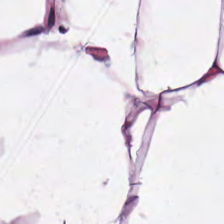Hematoxylin and eosin.
This field is adipose tissue.
